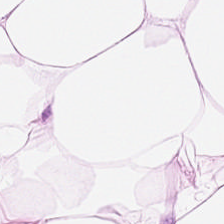Hematoxylin and eosin; FFPE — This patch shows fat tissue.
